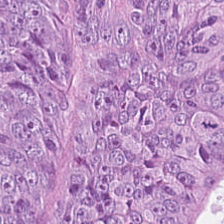H&E-stained tissue section — Tissue class — malignant epithelium.
